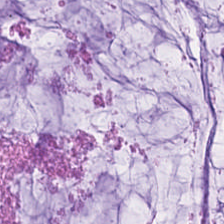The tissue here is mucus.
